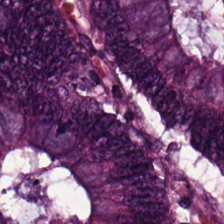Stain: H&E stain.
Tissue class: malignant epithelium.
